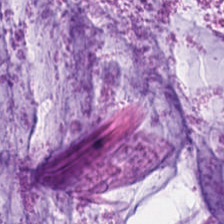Stain: H&E.
Resolution: 0.5 microns per pixel.
Preparation: FFPE.
Tissue type: extracellular mucin.
